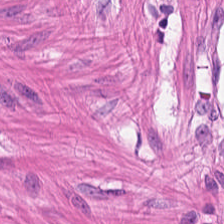Hematoxylin and eosin · whole-slide-image patch — Tissue: smooth-muscle tissue.
